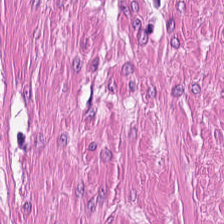224×224 px tile; H&E; formalin-fixed paraffin-embedded section.
Q: What tissue type is shown here?
A: It is smooth muscle.
